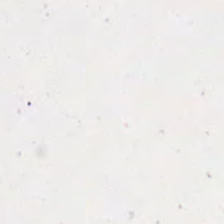Stain: H&E.
Classification: background (no tissue).
